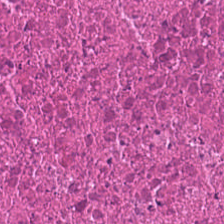Hematoxylin and eosin; WSI patch.
This patch shows necrotic debris.
